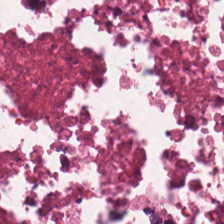This field is cellular debris.
